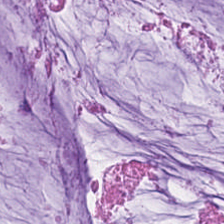Tissue type = extracellular mucin.
